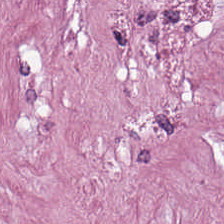H&E stain. Q: What tissue type is shown here?
A: It is desmoplastic stroma.
